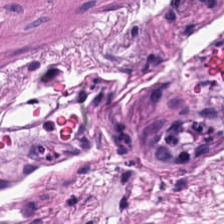H&E — Predominantly muscularis.
